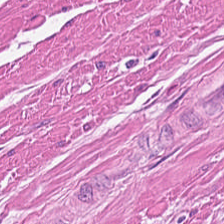Hematoxylin and eosin. Histology — smooth-muscle tissue.
